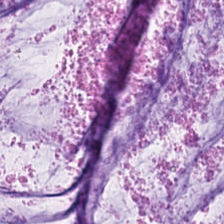{"tissue_type": "extracellular mucin"}
